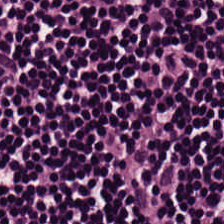Brightfield. Hematoxylin-and-eosin stained section.
Q: What does this patch show?
A: This is lymphocytes.
